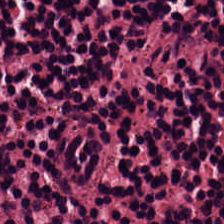Hematoxylin and eosin; FFPE. Finding → lymphocytic infiltrate.
